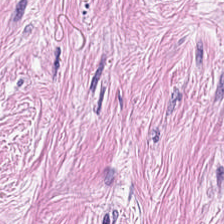0.5 microns per pixel · 224×224 px patch · hematoxylin-and-eosin stained section.
Tissue type: desmoplastic stroma.
